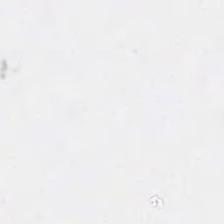Hematoxylin and eosin — Q: Classify this patch.
A: The field shows background.
